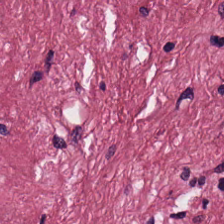224×224 pixel tile. Hematoxylin-and-eosin stained section — Histology → cancer-associated stroma.
